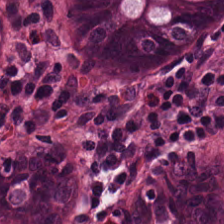Histology → non-neoplastic colon mucosa.
